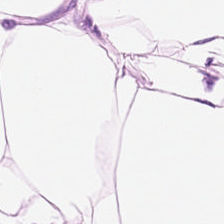H&E stain. Tissue type = adipose.
